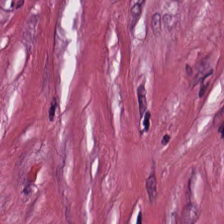H&E patch showing desmoplastic stroma.
